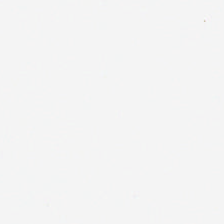H&E-stained tissue section.
Finding → background (no tissue).
